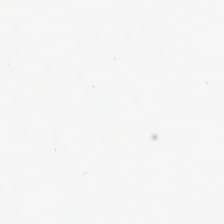H&E-stained tissue section. 224×224 px tile.
Q: What does this patch show?
A: Background.
